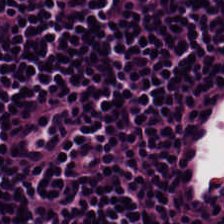Hematoxylin and eosin. {"tissue_type": "lymphocytic infiltrate"}
